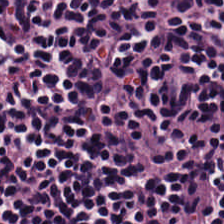0.5 microns per pixel. H&E stain.
Q: Identify the tissue.
A: It is lymphocytic infiltrate.
